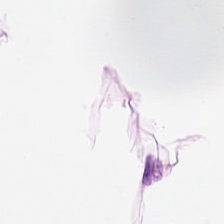Stain: H&E-stained tissue section.
Predominant tissue: adipocytes.
